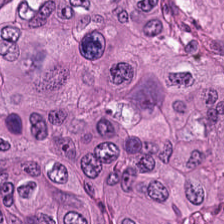Stain: hematoxylin-and-eosin stained section.
Resolution: 0.5 µm per pixel.
Tissue class: colorectal adenocarcinoma.
